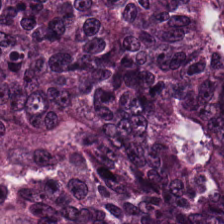H&E. Predominant tissue — tumor epithelium.
